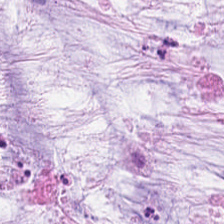H&E stain — Q: What is shown in this field?
A: It is mucus.
